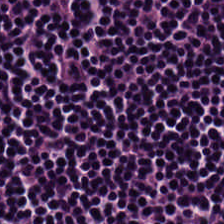H&E stain. This patch shows lymphocytic infiltrate.
